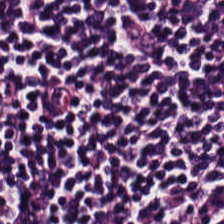Hematoxylin-and-eosin stained section.
Q: What tissue type is shown here?
A: The field shows lymphocytic infiltrate.
